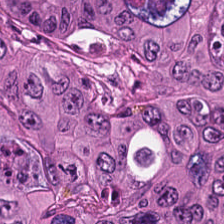FFPE; H&E-stained tissue section — The classification is colorectal adenocarcinoma.
